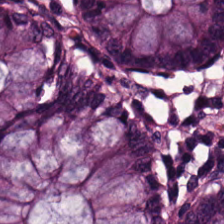0.5 microns per pixel; hematoxylin-and-eosin stained section.
The predominant tissue is non-neoplastic colon mucosa.
